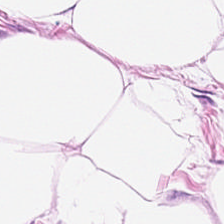H&E-stained tissue section. Q: What is shown in this field?
A: This is adipocytes.
